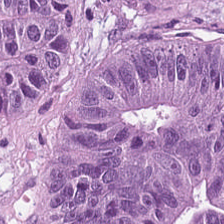H&E stain — This field is colorectal adenocarcinoma.
